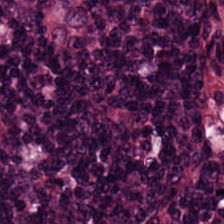H&E-stained tissue section showing lymphocytes.
